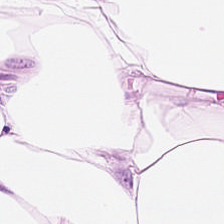H&E stain — Predominantly fat tissue.
